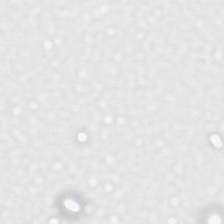H&E stain.
The classification is background (no tissue).
